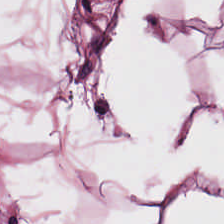Tissue class: adipose tissue.
